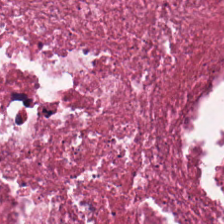Hematoxylin-and-eosin section: necrotic debris.
